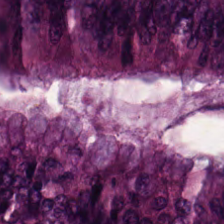Stain: hematoxylin and eosin.
Tissue class: malignant epithelium.
